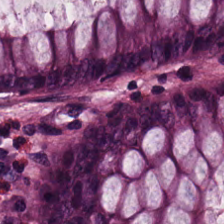H&E stain; 0.5 µm per pixel.
Showing normal colon mucosa.
